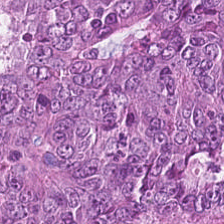Stain: H&E-stained tissue section.
Tissue class: colorectal adenocarcinoma epithelium.
